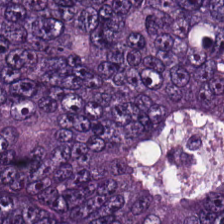224×224 pixel tile; hematoxylin and eosin; FFPE tissue section.
Showing colorectal adenocarcinoma epithelium.
